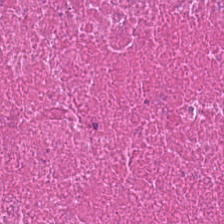Predominantly necrotic debris.
